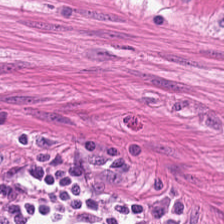Hematoxylin and eosin · 224×224 px tile. Q: What tissue type is shown here?
A: This is muscularis.
